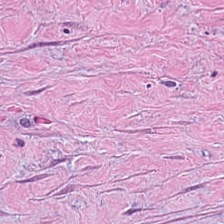Formalin-fixed paraffin-embedded section; H&E-stained tissue section; 224×224 px tile. Finding → desmoplastic stroma.
